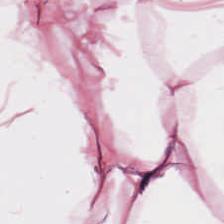WSI patch · FFPE tissue section · hematoxylin and eosin — Classification = adipose.
